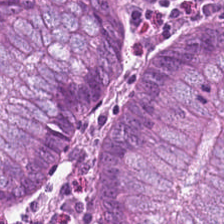Hematoxylin and eosin — Q: Identify the tissue.
A: It is normal colon mucosa.
